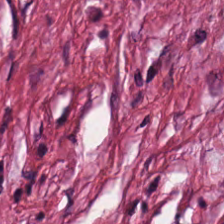H&E stain.
Desmoplastic stroma.
